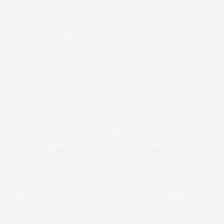Hematoxylin-and-eosin stained section — Finding → no tissue.
